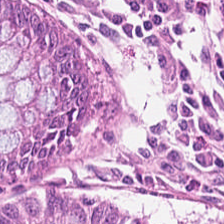Stain: H&E.
Tissue type: non-neoplastic colon mucosa.
